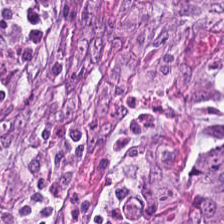Hematoxylin and eosin. Whole-slide-image patch. The predominant tissue is colorectal adenocarcinoma epithelium.
